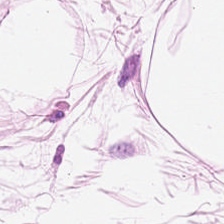H&E patch showing adipose tissue.
